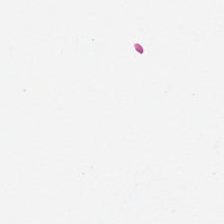Hematoxylin-and-eosin stained section; 0.5 µm/px. No tissue present; background only.
